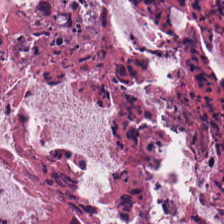Hematoxylin-and-eosin stained section. This field is cellular debris.
